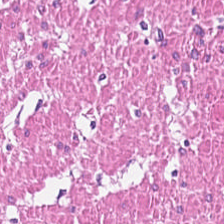The tissue here is muscularis.
